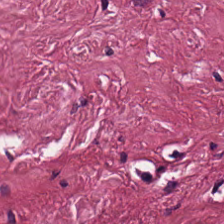Hematoxylin and eosin.
The tissue type is cancer-associated stroma.
